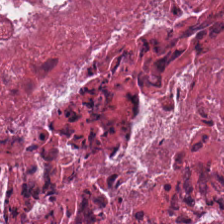224×224 pixel tile. Hematoxylin and eosin — {"tissue_type": "debris"}
